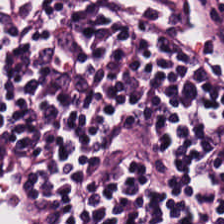Tissue class: lymphoid infiltrate.
